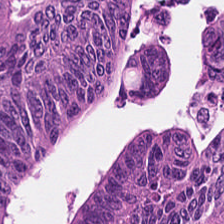Stain: hematoxylin and eosin.
Resolution: 0.5 µm/px.
Predominant tissue: tumor epithelium.
